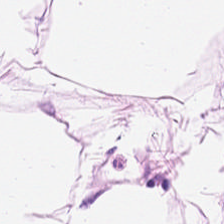H&E — fat tissue.
